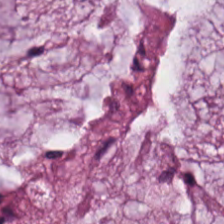Stain: H&E stain.
Tile size: 224×224 pixel tile.
Tissue: mucin.
